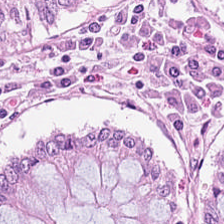H&E stain. Classification: normal colonic mucosa.
